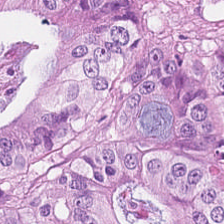Stain: H&E-stained tissue section.
Tile size: 224×224 px patch.
Classification: colorectal adenocarcinoma epithelium.
